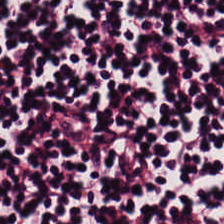Stain: hematoxylin and eosin.
Tissue class: lymphocytic infiltrate.
